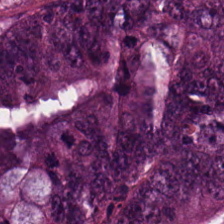Showing colorectal adenocarcinoma.
